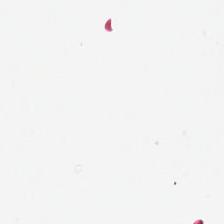Q: What is shown in this field?
A: This is no tissue.
